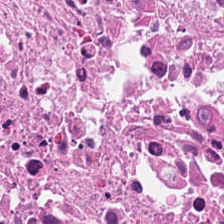Histology → debris.
